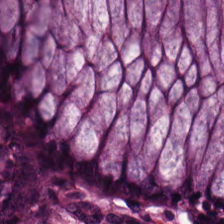Hematoxylin-and-eosin stained section.
Tissue: normal colon mucosa.
